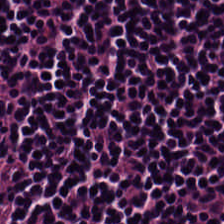H&E-stained tissue section.
The tissue is lymphocytes.
